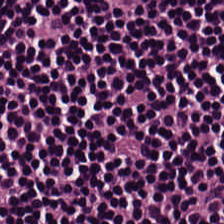Formalin-fixed paraffin-embedded section; 224×224 px patch; hematoxylin and eosin.
Showing lymphocytes.
